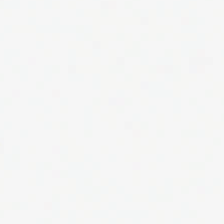Q: What is shown here?
A: This is background (no tissue).
